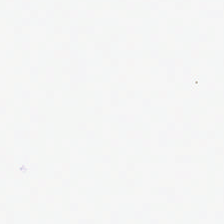H&E stain — Histology — no tissue.
